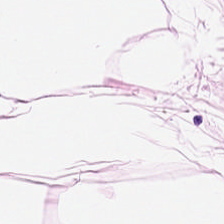Hematoxylin-and-eosin stained section. 224×224 px patch.
Predominant tissue = adipose.
